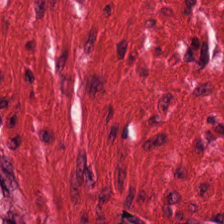224×224 pixel tile. H&E. WSI patch.
{"tissue_type": "muscularis"}
